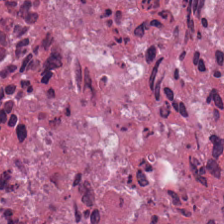H&E — {"tissue_type": "debris"}
